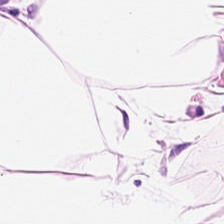Tissue type: adipose.
